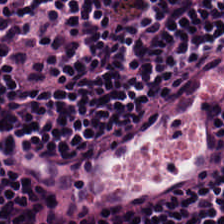Predominant tissue: lymphoid infiltrate.
